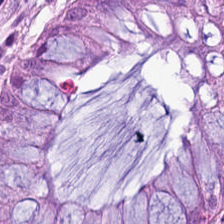Q: What tissue type is shown here?
A: It is benign colonic mucosa.
